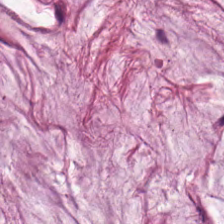H&E stain. Tissue type = extracellular mucin.
